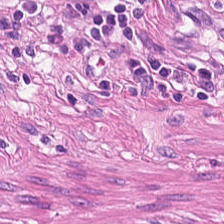H&E-stained tissue section · FFPE tissue section · 20× equivalent magnification — This field is smooth-muscle tissue.
